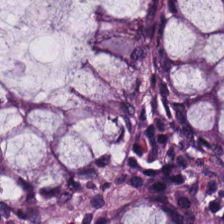0.5 µm/px; H&E; 224×224 pixel tile.
{"tissue_type": "non-neoplastic colon mucosa"}
